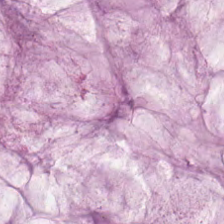Whole-slide-image patch. H&E-stained tissue section. Impression — mucus.
